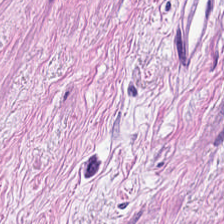Stain: H&E.
Tissue: smooth muscle.
